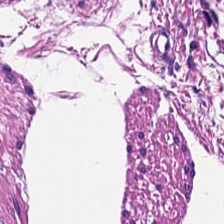Hematoxylin-and-eosin section: smooth muscle.
